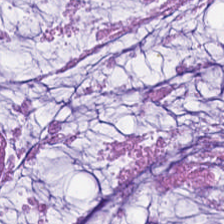Formalin-fixed paraffin-embedded section. H&E stain — Classification = extracellular mucin.
